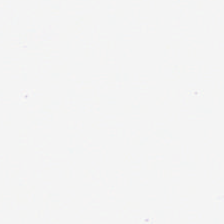Stain: H&E stain.
Preparation: FFPE tissue section.
Field content: background (no tissue).
